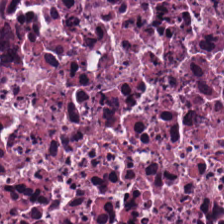H&E — Necrotic debris.
